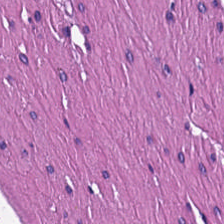Predominantly smooth muscle.
